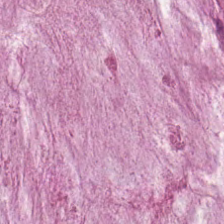H&E-stained tissue section. This field is mucus.
